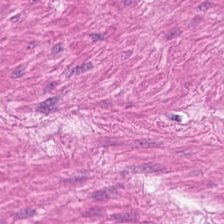H&E-stained tissue section — Histology → smooth-muscle tissue.
